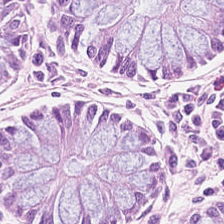Stain: H&E stain.
Classification: normal colon mucosa.
